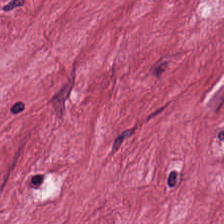Classification — tumor stroma.
